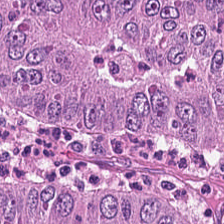H&E-stained tissue section.
Tissue type: colorectal adenocarcinoma epithelium.
